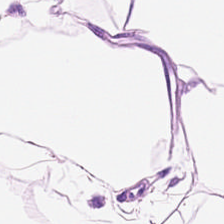WSI patch · H&E — Q: What tissue type is shown here?
A: Adipose tissue.
